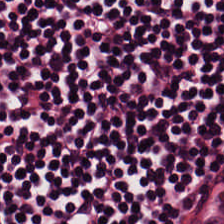Impression — lymphocytic infiltrate.
